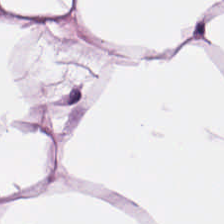Formalin-fixed paraffin-embedded section · 0.5 microns per pixel · H&E-stained tissue section. Tissue type — fat tissue.
